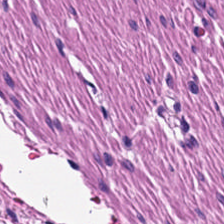Hematoxylin and eosin.
This field is smooth muscle.
